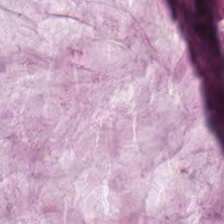Q: What tissue is shown?
A: Mucus.
